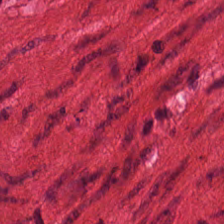224×224 pixel tile; hematoxylin and eosin; WSI patch — The tissue type is muscularis.
